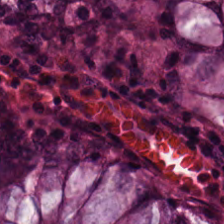Stain: hematoxylin and eosin.
Tissue: benign colonic mucosa.
